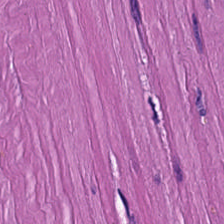Tissue = muscularis.
